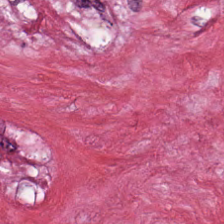0.5 µm/px; hematoxylin-and-eosin stained section; formalin-fixed paraffin-embedded section. The tissue here is tumor-associated stroma.
